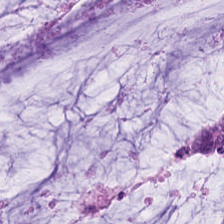H&E stain; FFPE tissue section.
Finding → mucus.
